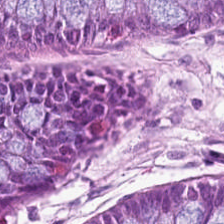Hematoxylin and eosin.
Tissue class: benign colonic mucosa.
